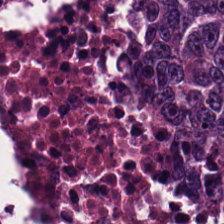Showing tumor epithelium.
